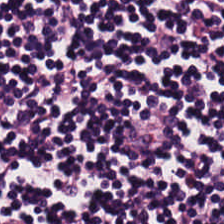Classification = lymphocytes.
